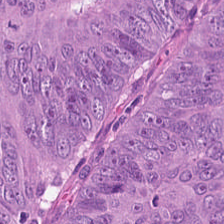H&E; 0.5 microns per pixel — Q: What does this patch show?
A: This is malignant epithelium.
